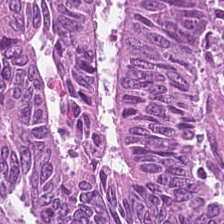Tissue type — tumor epithelium.
